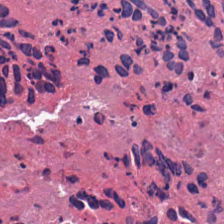H&E stain — This field is debris.
